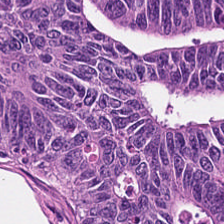Hematoxylin-and-eosin stained section — {"tissue_type": "colorectal adenocarcinoma epithelium"}
